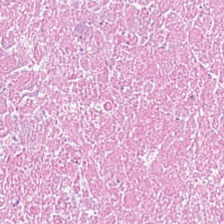Histology → cellular debris.
